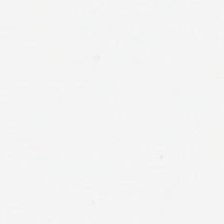H&E stain · FFPE · 224×224 px patch — Field content = background.
